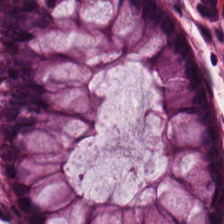Hematoxylin-and-eosin stained section. {"tissue_type": "non-neoplastic colon mucosa"}
